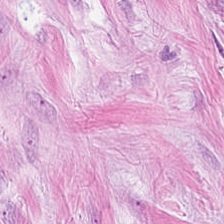Predominant tissue — cancer-associated stroma.
